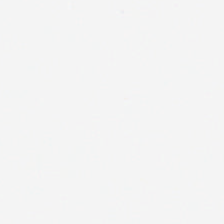{"content": "background (no tissue)"}
